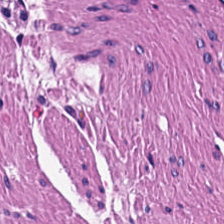H&E-stained tissue section. FFPE tissue section. WSI patch.
Showing muscularis.
